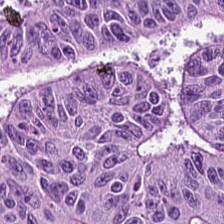Hematoxylin-and-eosin stained section. Formalin-fixed paraffin-embedded section. Brightfield microscopy.
Classification: colorectal adenocarcinoma epithelium.
